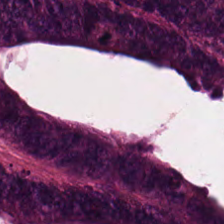Whole-slide-image patch · H&E-stained tissue section — Finding → colorectal adenocarcinoma epithelium.
